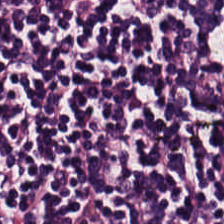Hematoxylin and eosin; FFPE.
The tissue here is lymphocytes.
